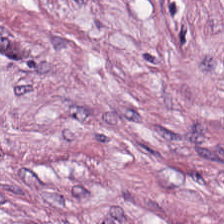Tissue class: cancer-associated stroma.
